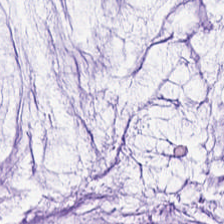Hematoxylin-and-eosin stained section. Q: What is shown in this field?
A: This is mucin.
